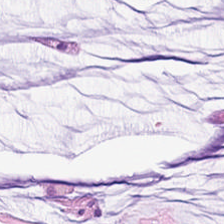0.5 µm per pixel; hematoxylin and eosin.
Mucin.
